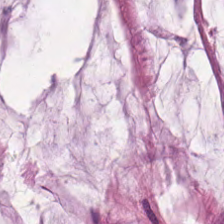224×224 pixel tile; hematoxylin-and-eosin stained section; formalin-fixed paraffin-embedded section.
Showing mucus.
